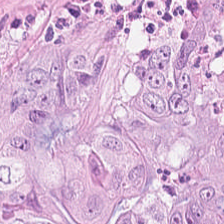WSI patch · 224×224 pixel tile · H&E stain. The tissue here is colorectal adenocarcinoma.
